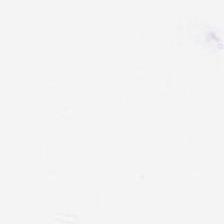Hematoxylin and eosin. This patch shows empty background.
